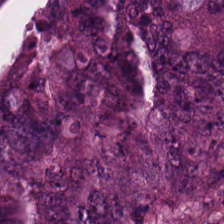H&E-stained tissue section. Tissue type: tumor epithelium.
